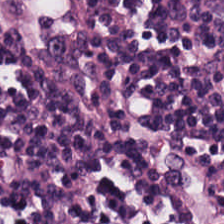Classification = lymphocyte aggregate.
